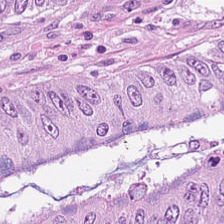H&E-stained section; the field shows malignant epithelium.
